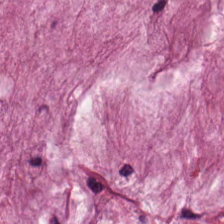Predominantly mucus.
